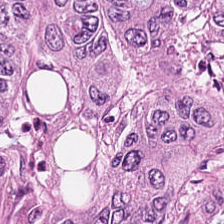H&E. This field is tumor epithelium.
